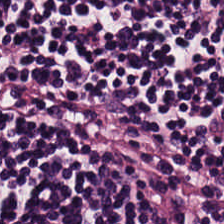H&E — The predominant tissue is lymphoid infiltrate.
